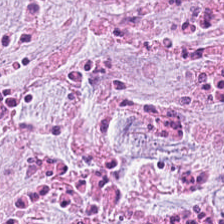H&E stain. Classification = tumor stroma.
